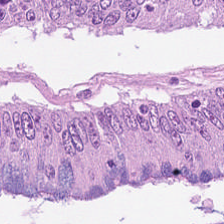Hematoxylin and eosin; brightfield microscopy. Tissue type — colorectal adenocarcinoma epithelium.
